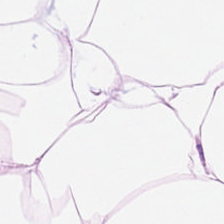Predominantly adipocytes.
